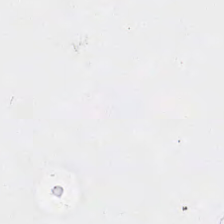Stain: hematoxylin-and-eosin stained section.
Field content: background (no tissue).
